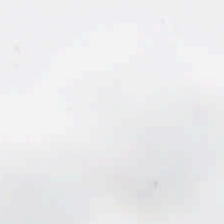Empty field — background (no tissue).
